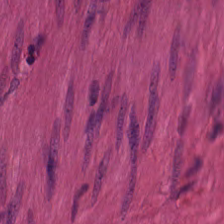Impression → smooth muscle.
